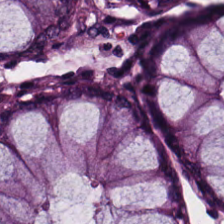Hematoxylin and eosin.
This patch shows benign colonic mucosa.
